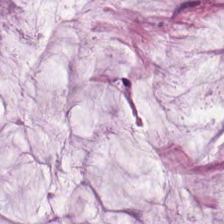Hematoxylin and eosin.
The tissue class is extracellular mucin.
